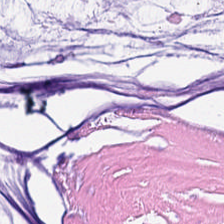Hematoxylin-and-eosin stained section; 0.5 microns per pixel; 224×224 px tile. Extracellular mucin.
